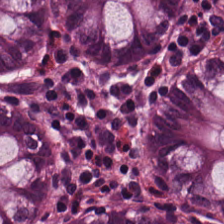Hematoxylin-and-eosin section: non-neoplastic colon mucosa.
